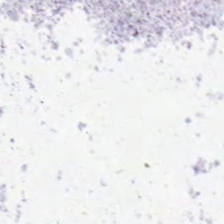Hematoxylin-and-eosin stained section · 224×224 px patch — {"content": "no tissue"}
